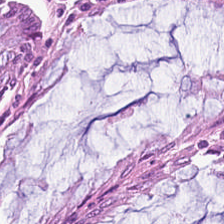Hematoxylin-and-eosin stained section. Brightfield microscopy. FFPE. Q: What does this patch show?
A: It is normal colon mucosa.
